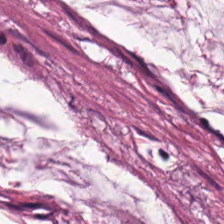224×224 px tile; H&E-stained tissue section; 0.5 µm/px. The predominant tissue is mucus.
